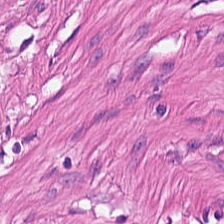H&E-stained tissue section.
This patch shows smooth muscle.
